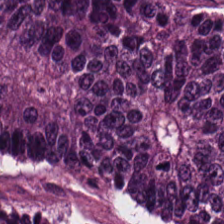Stain: H&E.
Predominant tissue: adenocarcinoma.
